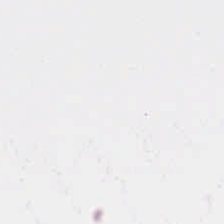Hematoxylin and eosin — Empty field — background (no tissue).
